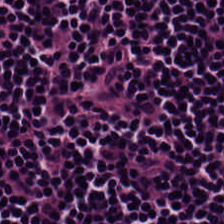H&E-stained tissue section; 224×224 px patch — The predominant tissue is lymphocyte aggregate.
